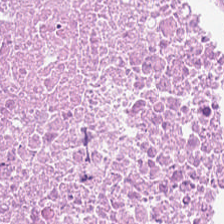Hematoxylin and eosin. Impression → necrotic debris.
